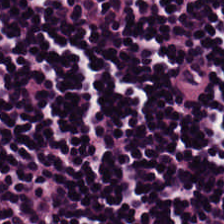H&E.
The tissue here is lymphocytes.
